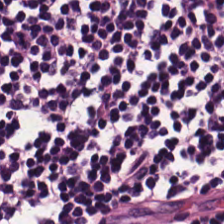H&E-stained tissue section.
Tissue class = lymphocytes.
